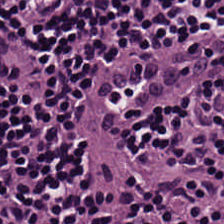Whole-slide-image patch. H&E stain. The predominant tissue is lymphocyte aggregate.
